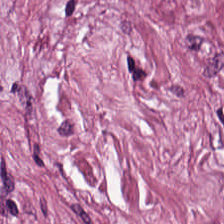Hematoxylin-and-eosin stained section — Tissue type: tumor-associated stroma.
